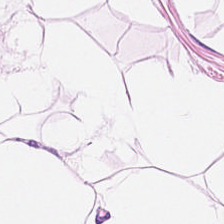H&E — Tissue type — fat tissue.
